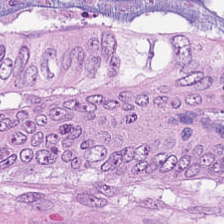H&E. Q: What is shown in this field?
A: It is colorectal adenocarcinoma.
